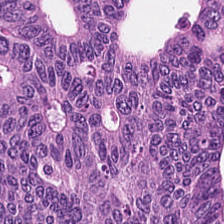H&E. Q: What is shown here?
A: It is adenocarcinoma.
